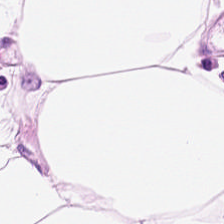H&E · WSI patch.
Q: What tissue type is shown here?
A: The field shows fat tissue.
